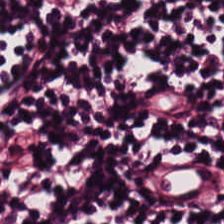H&E. Whole-slide-image patch.
Tissue class — lymphocytes.
